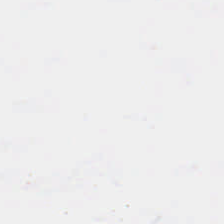Classification = empty background.
